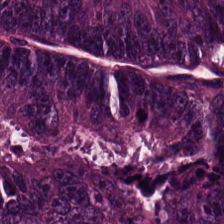Stain: hematoxylin-and-eosin stained section.
Tissue type: adenocarcinoma.
